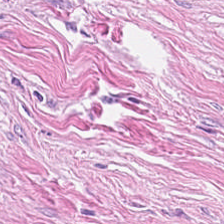H&E-stained section; the field shows tumor stroma.
